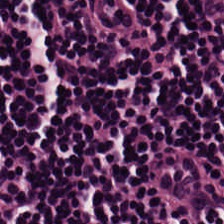Hematoxylin and eosin. Q: Classify this patch.
A: It is lymphocytic infiltrate.
